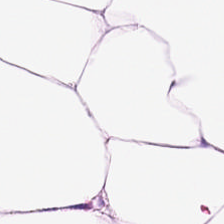0.5 microns per pixel. Hematoxylin and eosin — Predominant tissue: adipocytes.
